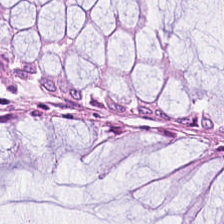Hematoxylin and eosin. This patch shows benign colonic mucosa.
